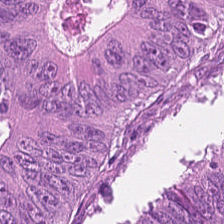Q: What does this patch show?
A: It is colorectal adenocarcinoma epithelium.
